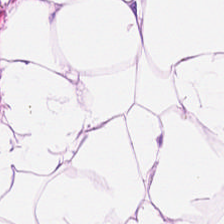Q: What tissue is shown?
A: The field shows adipose.
